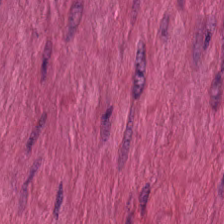H&E — smooth muscle.
